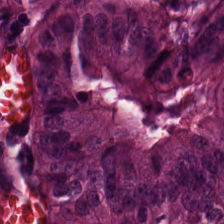Hematoxylin and eosin — Showing colorectal adenocarcinoma epithelium.
